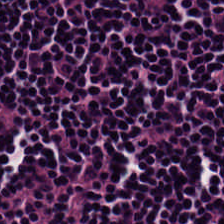Predominant tissue: lymphocytes.
